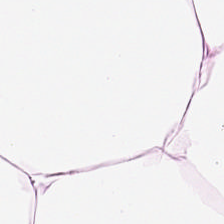Hematoxylin-and-eosin stained section.
Tissue — fat tissue.
